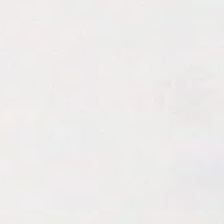224×224 px tile · H&E stain · brightfield microscopy — Content — background.
